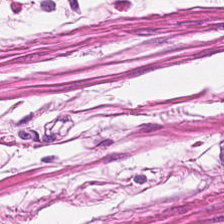H&E-stained tissue section.
The predominant tissue is muscularis.
